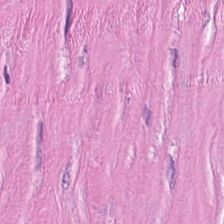Hematoxylin-and-eosin section: tumor stroma.
